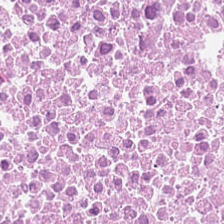Showing necrotic debris.
